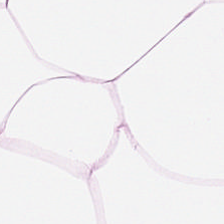H&E-stained tissue section — Tissue class: adipose tissue.
